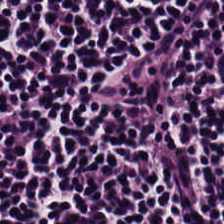H&E — Q: What type of tissue is this?
A: It is lymphoid infiltrate.
